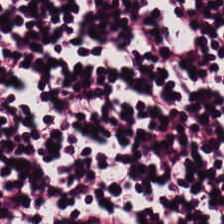Hematoxylin-and-eosin stained section — Lymphocyte aggregate.
